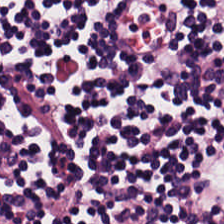H&E stain. Predominantly lymphocytes.
